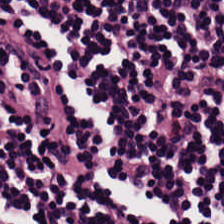H&E. The predominant tissue is lymphoid infiltrate.
